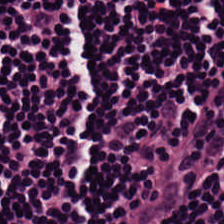H&E-stained tissue section. Formalin-fixed paraffin-embedded section — The predominant tissue is lymphocytic infiltrate.
